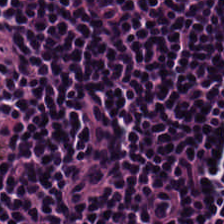H&E-stained tissue section. The tissue here is lymphocytes.
